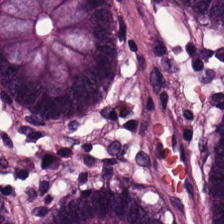H&E; FFPE — This field is normal colon mucosa.
